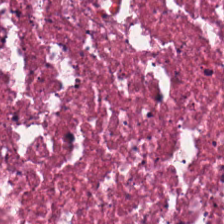Showing necrotic debris.
